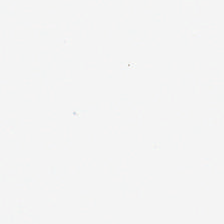{"content": "no tissue"}
